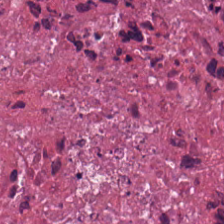H&E patch showing necrotic debris.
